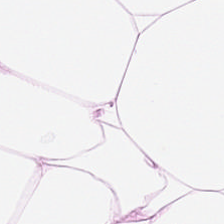WSI patch · H&E · FFPE tissue section. This field is adipose.
